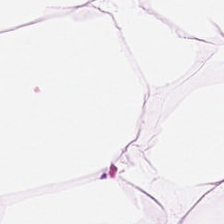Hematoxylin and eosin. The predominant tissue is adipose.
